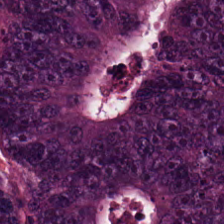Tissue class — colorectal adenocarcinoma epithelium.
